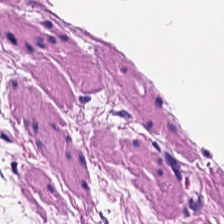H&E-stained tissue section showing muscularis.
